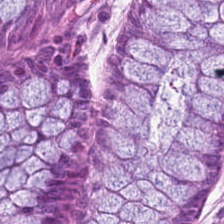H&E stain — Showing normal colon mucosa.
